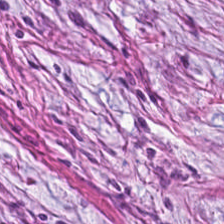Cancer-associated stroma.
